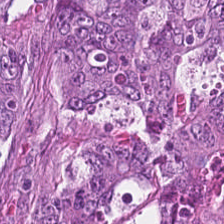Predominant tissue — malignant epithelium.
